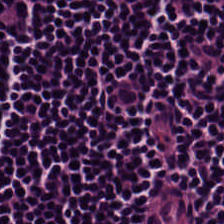H&E; 0.5 µm per pixel. The tissue is lymphocytes.
